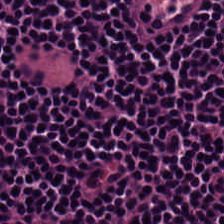Hematoxylin and eosin.
This field is lymphocytic infiltrate.
